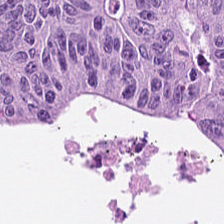224×224 pixel tile · H&E-stained tissue section — The tissue here is adenocarcinoma.
